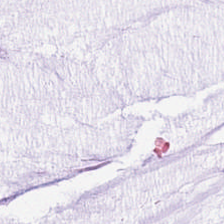Hematoxylin and eosin.
Impression — mucus.
